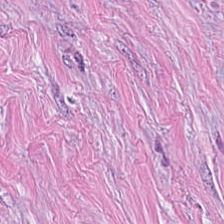Brightfield microscopy. H&E-stained tissue section.
The classification is tumor stroma.
